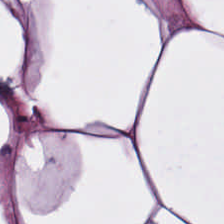Brightfield microscopy; 0.5 µm per pixel; hematoxylin-and-eosin stained section. The tissue type is adipose.
